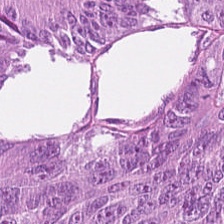H&E stain. Q: What tissue is shown?
A: This is malignant epithelium.
